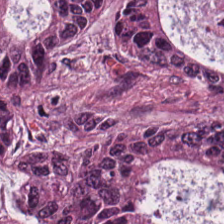20× equivalent magnification; H&E-stained tissue section.
The predominant tissue is adenocarcinoma.
